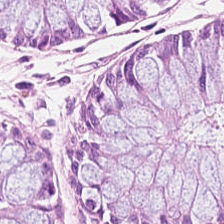Hematoxylin-and-eosin section: normal colon mucosa.
